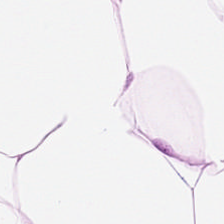H&E — Q: What is the predominant tissue type?
A: Fat tissue.
